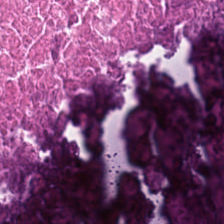Hematoxylin and eosin.
The classification is necrotic debris.
